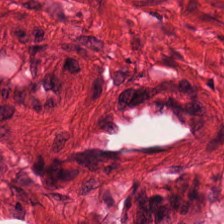Stain: H&E-stained tissue section.
Resolution: 20× equivalent magnification.
Tile size: 224×224 px patch.
Predominant tissue: smooth-muscle tissue.
